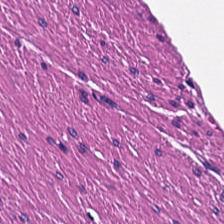H&E — {"tissue_type": "muscularis"}
